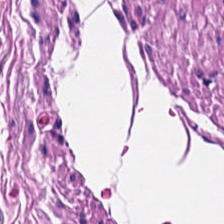Stain: H&E.
Tile size: 224×224 px tile.
Tissue: muscularis.
